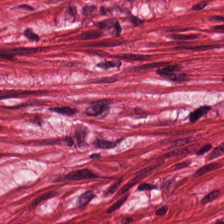H&E — smooth muscle.
